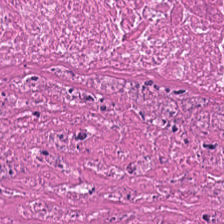H&E-stained section; the field shows necrotic debris.
